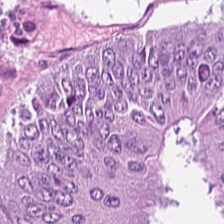H&E · 0.5 µm/px. The tissue here is colorectal adenocarcinoma.
